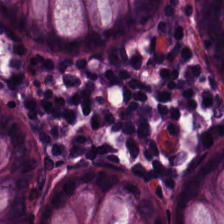Impression → benign colonic mucosa.
